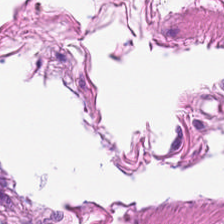H&E. Tissue type: smooth muscle.
